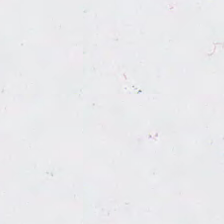Hematoxylin and eosin — Classification — no tissue.
